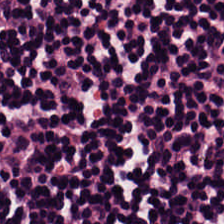Hematoxylin-and-eosin stained section — This field is lymphocytes.
